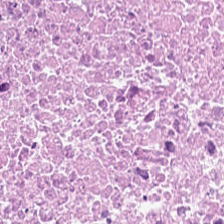224×224 pixel tile. Hematoxylin and eosin. The tissue here is cellular debris.
